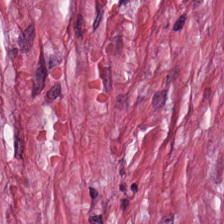Classification = tumor-associated stroma.
